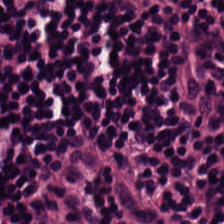Predominant tissue — lymphocyte aggregate.
